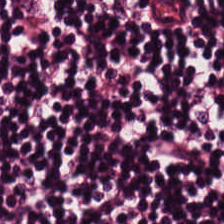Lymphocytic infiltrate.
